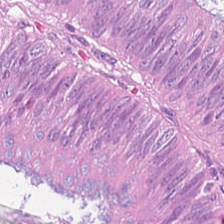224×224 pixel tile. H&E-stained tissue section. 0.5 microns per pixel — This patch shows tumor epithelium.
